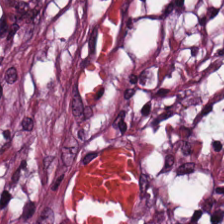H&E-stained tissue section.
The tissue here is tumor stroma.
